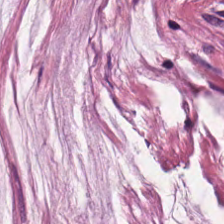Stain: hematoxylin and eosin.
Acquisition: brightfield microscopy.
Resolution: 0.5 µm/px.
Tissue: mucin.
